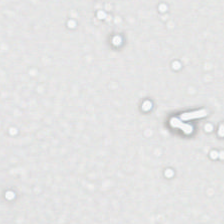H&E · FFPE tissue section — No tissue.
